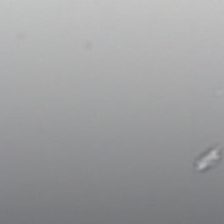Histology — no tissue.
